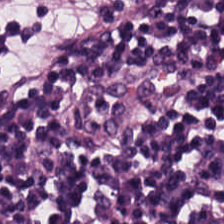H&E-stained tissue section — Predominant tissue: lymphocytes.
